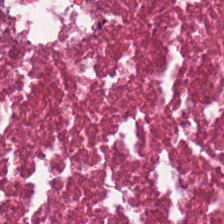Hematoxylin and eosin — The classification is necrotic debris.
